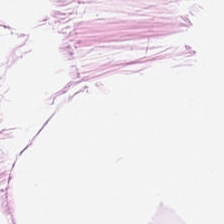Hematoxylin and eosin — This patch shows adipose.
